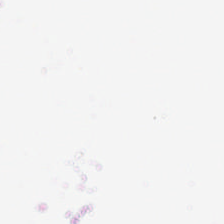Stain: H&E.
Classification: background.
